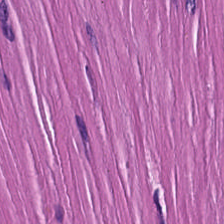Hematoxylin-and-eosin stained section; 0.5 µm per pixel.
Predominantly muscularis.
